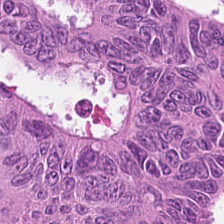H&E-stained tissue section.
Tissue type = tumor epithelium.
